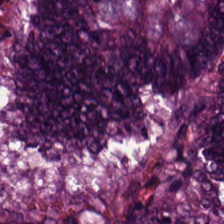H&E-stained tissue section. Predominant tissue: adenocarcinoma.
